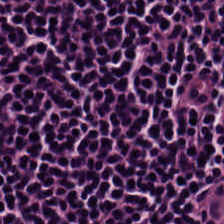Hematoxylin-and-eosin stained section — Histology → lymphocytes.
